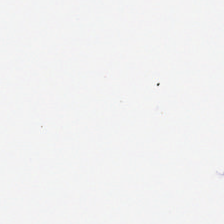Content = background.
